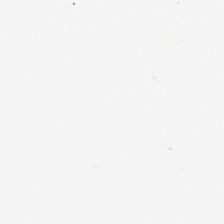H&E stain.
Q: What is shown here?
A: The field shows empty background.
